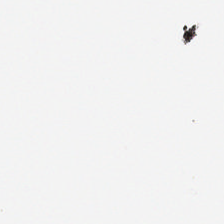Brightfield microscopy. 0.5 µm/px. H&E — Q: Classify this patch.
A: The field shows empty background.
